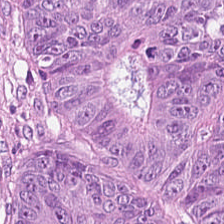This field is colorectal adenocarcinoma epithelium.
